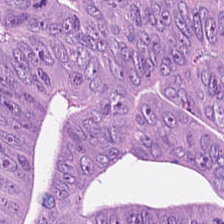Tissue class — tumor epithelium.
